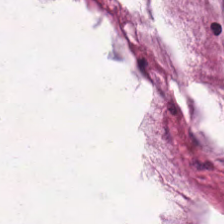H&E-stained tissue section · 224×224 pixel tile — {"tissue_type": "mucus"}
